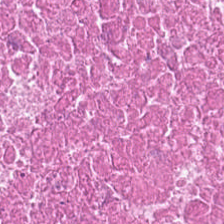H&E-stained tissue section · 0.5 µm/px. Q: What type of tissue is this?
A: Cellular debris.
